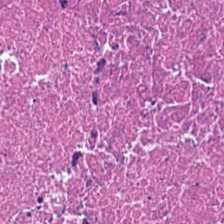This field is cellular debris.
